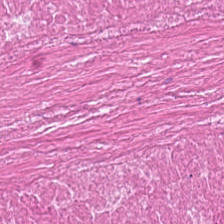Predominantly necrotic debris.
